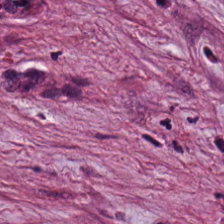H&E-stained tissue section — Finding → tumor stroma.
